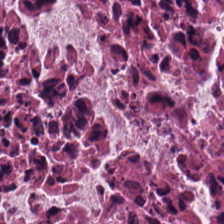H&E stain.
The predominant tissue is necrotic debris.
